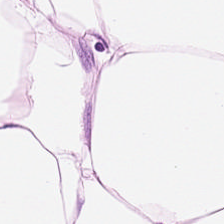Hematoxylin-and-eosin stained section; 224×224 px tile; 0.5 microns per pixel. Classification — adipocytes.
